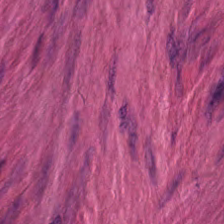Hematoxylin-and-eosin stained section — Q: What is the predominant tissue type?
A: This is muscularis.
